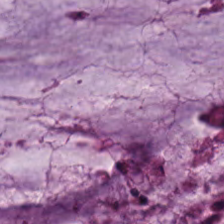H&E stain · brightfield microscopy. Showing extracellular mucin.
